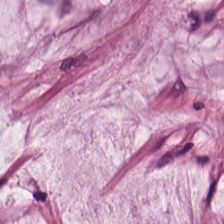Impression — mucin.
